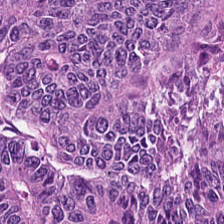Hematoxylin-and-eosin stained section. Showing malignant epithelium.
